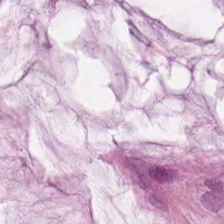H&E-stained tissue section.
The tissue here is extracellular mucin.
